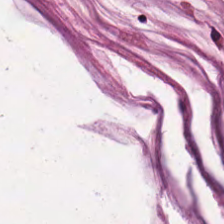0.5 µm per pixel; hematoxylin-and-eosin stained section. Mucus.
